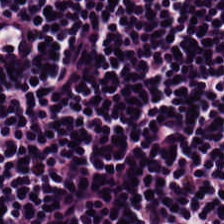Hematoxylin and eosin · 0.5 µm/px — Histology — lymphocytes.
